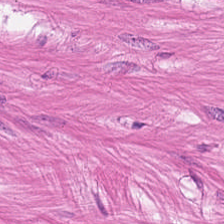Hematoxylin-and-eosin stained section; 224×224 px tile — This field is smooth-muscle tissue.
